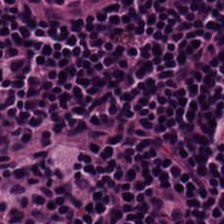The tissue class is lymphoid infiltrate.
